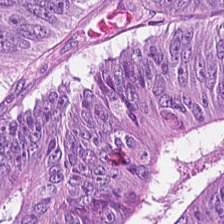Q: What does this patch show?
A: Colorectal adenocarcinoma.
